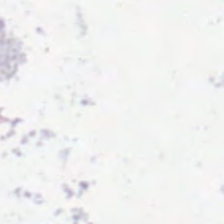Brightfield · 224×224 px tile · hematoxylin and eosin.
The content is background.
